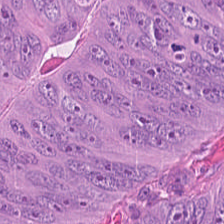Stain: hematoxylin-and-eosin stained section.
Classification: adenocarcinoma.
